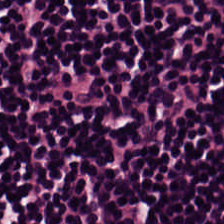FFPE; hematoxylin-and-eosin stained section. The tissue here is lymphoid infiltrate.
